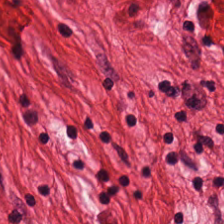FFPE. Hematoxylin and eosin — Q: Identify the tissue.
A: This is muscularis.
